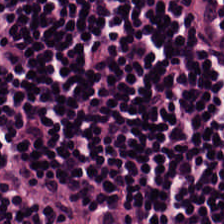Hematoxylin-and-eosin stained section. Q: What is shown here?
A: The field shows lymphocytic infiltrate.
